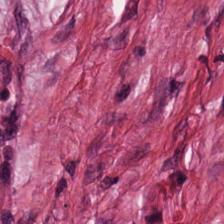Hematoxylin-and-eosin stained section.
Classification = cancer-associated stroma.
